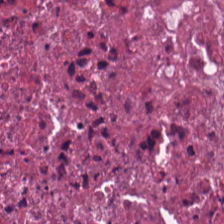Whole-slide-image patch. H&E. FFPE.
The tissue here is debris.
